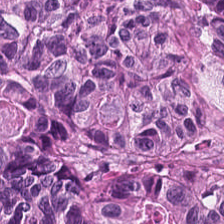H&E stain · brightfield microscopy. Showing malignant epithelium.
